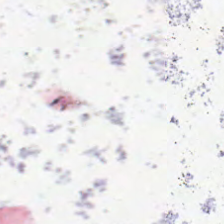No tissue present; background only.
